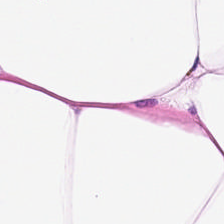Hematoxylin-and-eosin stained section. Showing fat tissue.
